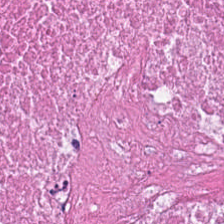Stain: H&E stain.
Classification: debris.
